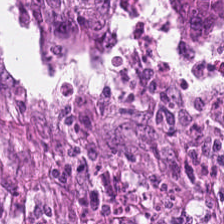H&E stain. The tissue here is colorectal adenocarcinoma epithelium.
